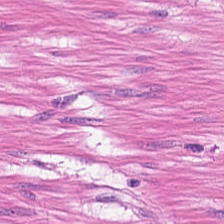Hematoxylin-and-eosin stained section.
Q: What does this patch show?
A: The field shows smooth muscle.
